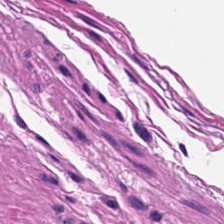The tissue class is muscularis.
